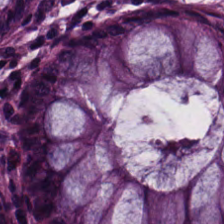Q: What tissue is shown?
A: The field shows non-neoplastic colon mucosa.
